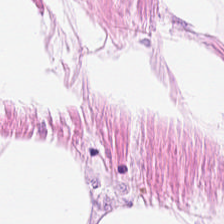H&E — The predominant tissue is adipose.
